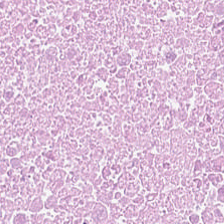Hematoxylin and eosin; formalin-fixed paraffin-embedded section; 20× equivalent magnification — Predominantly debris.
